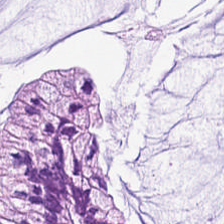Hematoxylin-and-eosin stained section. Predominant tissue = mucus.
